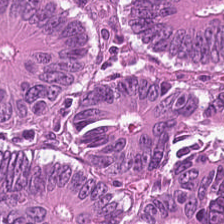FFPE tissue section · 0.5 microns per pixel · H&E stain.
Tissue type — colorectal adenocarcinoma.
